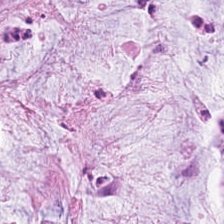Hematoxylin-and-eosin stained section. The tissue here is mucin.
